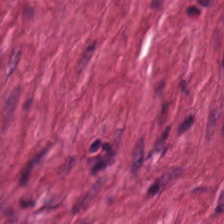H&E stain · 224×224 px tile — The predominant tissue is smooth muscle.
